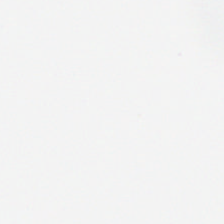Brightfield. Hematoxylin-and-eosin stained section.
Q: What does this patch show?
A: It is empty background.
